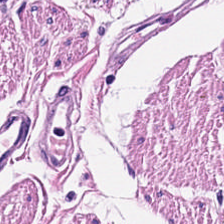Hematoxylin and eosin. Q: Classify this patch.
A: It is smooth-muscle tissue.
